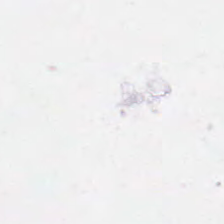H&E stain. Histology — background.
